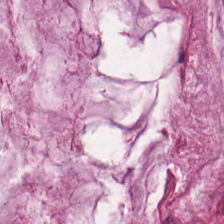H&E-stained tissue section.
Tissue type = mucin.
